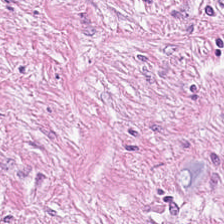Tissue = cancer-associated stroma.
